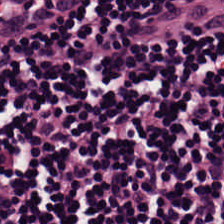224×224 pixel tile · formalin-fixed paraffin-embedded section · H&E-stained tissue section.
This patch shows lymphoid infiltrate.
